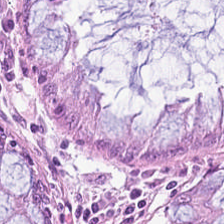Hematoxylin and eosin — This field is non-neoplastic colon mucosa.
